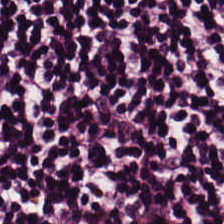Q: What is shown in this field?
A: This is lymphoid infiltrate.
